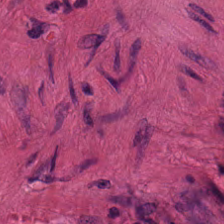H&E stain. The predominant tissue is smooth muscle.
